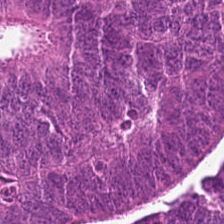Stain: hematoxylin and eosin.
Preparation: formalin-fixed paraffin-embedded section.
Classification: colorectal adenocarcinoma.
